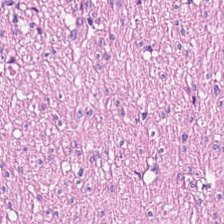Predominantly smooth-muscle tissue.
